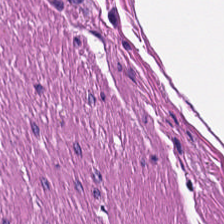Hematoxylin and eosin. Tissue class: smooth-muscle tissue.
